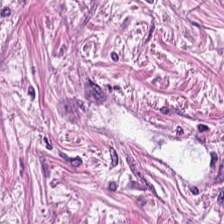{"tissue_type": "cancer-associated stroma"}
